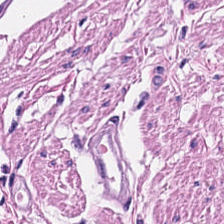Stain: H&E stain.
Tissue: smooth-muscle tissue.
